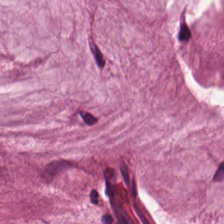Hematoxylin and eosin — Predominantly mucin.
